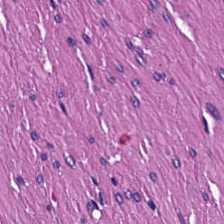H&E-stained tissue section.
{"tissue_type": "smooth muscle"}
